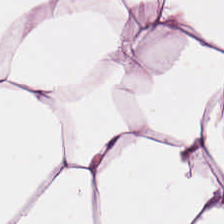H&E stain — Predominantly fat tissue.
